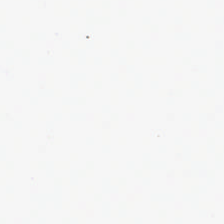Hematoxylin-and-eosin stained section; whole-slide-image patch; 224×224 pixel tile.
Finding → empty background.
